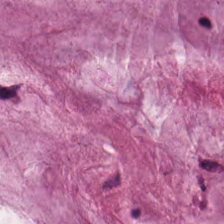Hematoxylin and eosin.
The predominant tissue is mucus.
